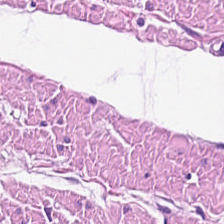0.5 µm per pixel; hematoxylin-and-eosin stained section; FFPE tissue section.
This patch shows smooth muscle.
